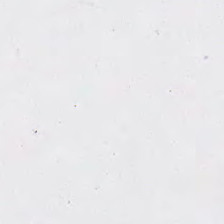Stain: hematoxylin and eosin.
Acquisition: WSI patch.
Resolution: 0.5 µm per pixel.
Field content: background (no tissue).
